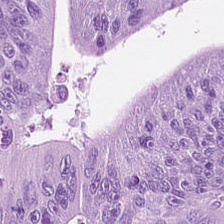H&E stain — The predominant tissue is adenocarcinoma.
